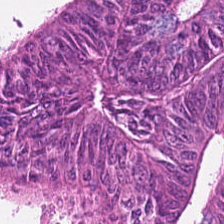Q: What is the predominant tissue type?
A: This is colorectal adenocarcinoma.
